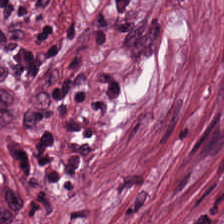224×224 pixel tile; brightfield; H&E. Q: What tissue type is shown here?
A: The field shows cancer-associated stroma.
